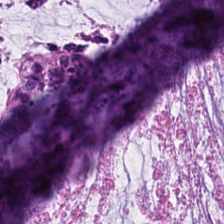H&E-stained tissue section — {"tissue_type": "mucin"}
